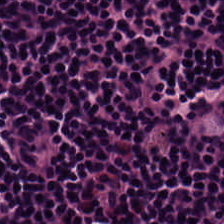H&E.
The predominant tissue is lymphocyte aggregate.
